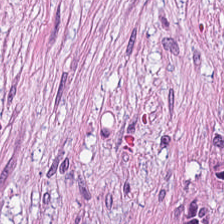Q: What is the predominant tissue type?
A: It is tumor-associated stroma.
